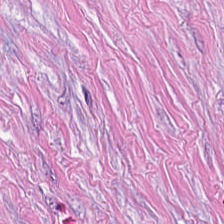Hematoxylin and eosin — This field is tumor-associated stroma.
